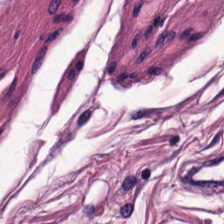Muscularis.
